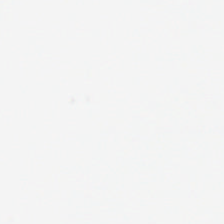Hematoxylin and eosin; formalin-fixed paraffin-embedded section — This patch shows background (no tissue).
